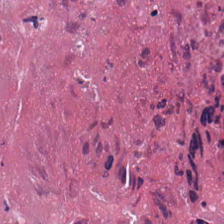Stain: H&E.
Tissue: cellular debris.
